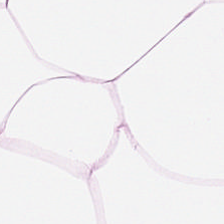Formalin-fixed paraffin-embedded section; H&E stain.
The predominant tissue is adipose.
